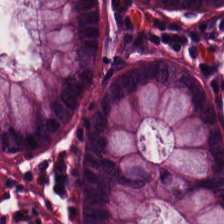Q: What is shown in this field?
A: This is normal colonic mucosa.
